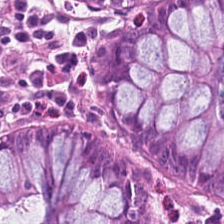Stain: hematoxylin and eosin.
Classification: non-neoplastic colon mucosa.
